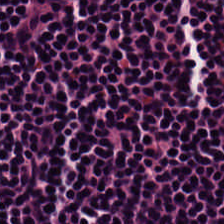Hematoxylin and eosin. The predominant tissue is lymphocytic infiltrate.
